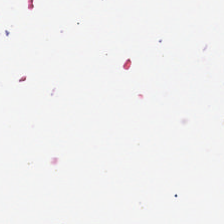Q: What is shown in this field?
A: No tissue.
